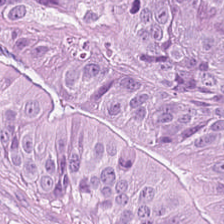{"tissue_type": "adenocarcinoma"}
